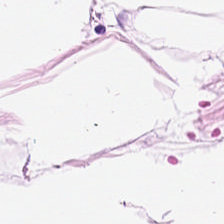H&E-stained tissue section. Adipose tissue.
